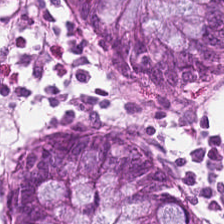Hematoxylin-and-eosin stained section — Predominant tissue — normal colon mucosa.
